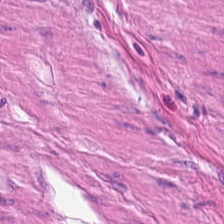H&E stain · 224×224 px tile · 0.5 µm/px.
The predominant tissue is muscularis.
